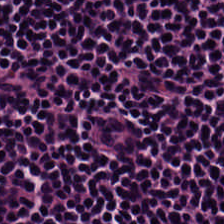This patch shows lymphocyte aggregate.
